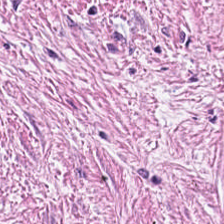224×224 px patch. Hematoxylin-and-eosin stained section.
This field is cancer-associated stroma.
